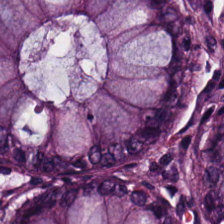0.5 µm per pixel; FFPE tissue section; hematoxylin and eosin — Impression → normal colonic mucosa.
